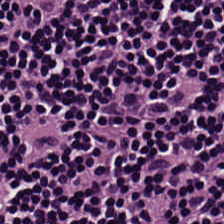H&E-stained tissue section.
The tissue here is lymphocytic infiltrate.
